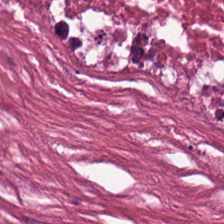224×224 px tile; 0.5 µm/px; hematoxylin-and-eosin stained section. Classification: debris.
